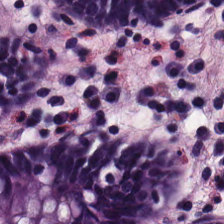{"tissue_type": "normal colon mucosa"}
